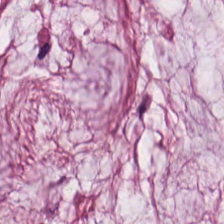Hematoxylin-and-eosin stained section. Q: Identify the tissue.
A: This is mucin.
